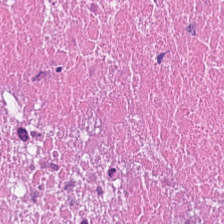H&E — Impression — debris.
